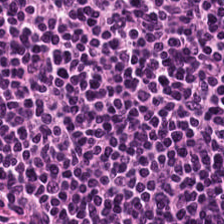Q: What is shown in this field?
A: The field shows lymphocytes.
